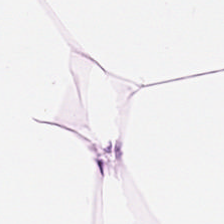Hematoxylin and eosin · brightfield microscopy. The classification is adipose tissue.
